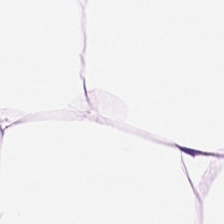Q: What tissue type is shown here?
A: It is adipose.
